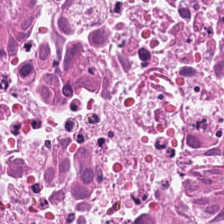0.5 microns per pixel. Hematoxylin-and-eosin stained section — Q: What tissue is shown?
A: It is necrotic debris.
